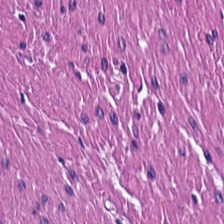H&E-stained tissue section.
Predominant tissue — smooth muscle.
